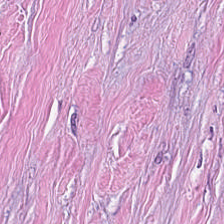Tissue class — tumor stroma.
